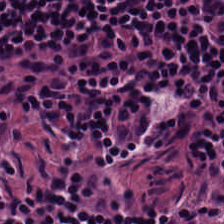Q: What is shown here?
A: Lymphocytic infiltrate.
